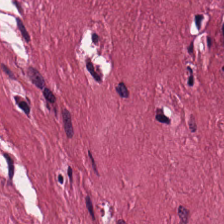H&E-stained tissue section. Showing tumor-associated stroma.
